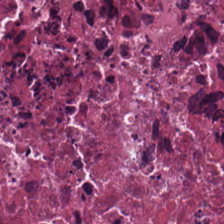H&E; brightfield. Necrotic debris.
